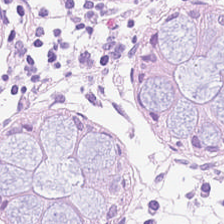H&E.
Classification = normal colonic mucosa.
